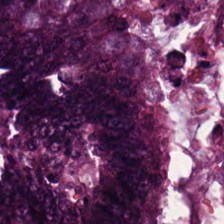H&E-stained tissue section.
Predominantly tumor epithelium.
